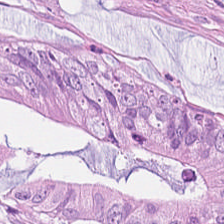H&E stain.
Q: What tissue type is shown here?
A: It is malignant epithelium.
